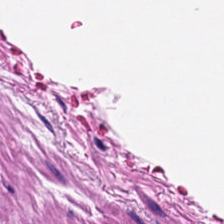Hematoxylin-and-eosin stained section — Q: What tissue type is shown here?
A: It is muscularis.
